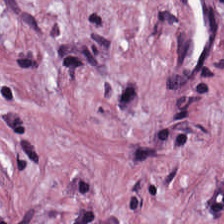Hematoxylin-and-eosin stained section. Q: What tissue type is shown here?
A: This is desmoplastic stroma.
